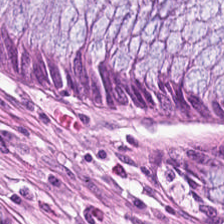H&E-stained tissue section. The tissue here is non-neoplastic colon mucosa.
